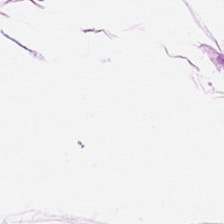H&E-stained tissue section.
This field is adipose.
